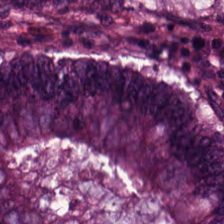The tissue is malignant epithelium.
